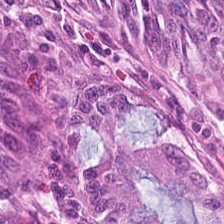H&E-stained tissue section — Predominantly normal colon mucosa.
